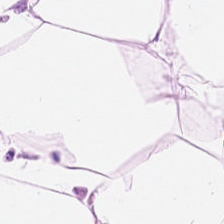224×224 pixel tile; brightfield; hematoxylin-and-eosin stained section. Histology → adipocytes.
